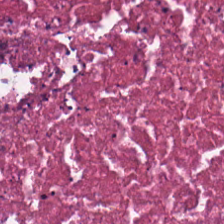Stain: hematoxylin and eosin.
Predominant tissue: cellular debris.
